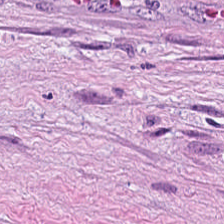Stain: H&E-stained tissue section.
Tile size: 224×224 pixel tile.
Predominant tissue: cancer-associated stroma.
